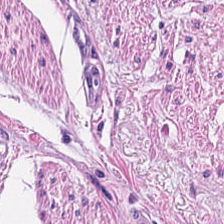Stain: H&E stain.
Resolution: 0.5 µm/px.
Tissue class: smooth muscle.
